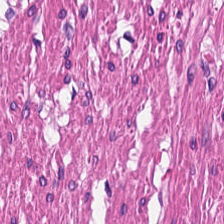Tissue type = smooth-muscle tissue.
